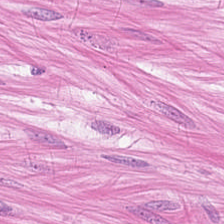H&E-stained tissue section. Predominant tissue — muscularis.
